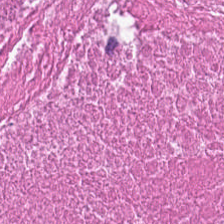Predominant tissue = debris.
